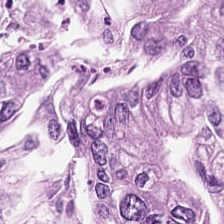H&E-stained tissue section · 224×224 px patch · FFPE tissue section.
Q: What is shown in this field?
A: The field shows colorectal adenocarcinoma.
